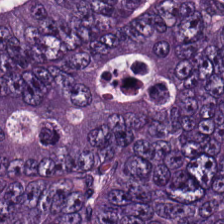Stain: H&E.
Acquisition: brightfield.
Predominant tissue: colorectal adenocarcinoma.
